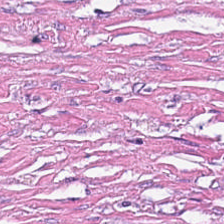Brightfield. H&E-stained tissue section — Finding → tumor stroma.
